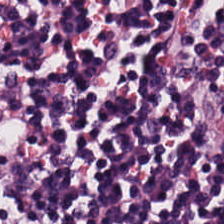FFPE · hematoxylin-and-eosin stained section — The predominant tissue is lymphocyte aggregate.
